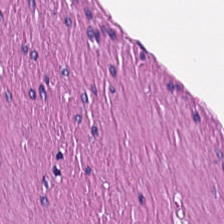Finding → smooth-muscle tissue.
